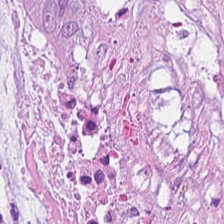Hematoxylin-and-eosin stained section · 224×224 px patch.
The tissue here is extracellular mucin.
